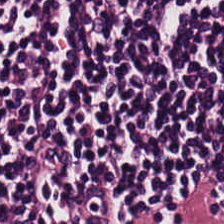H&E. Formalin-fixed paraffin-embedded section. Lymphoid infiltrate.
